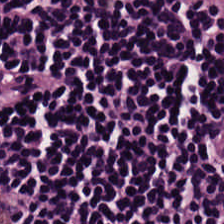H&E · FFPE — The tissue type is lymphocytic infiltrate.
